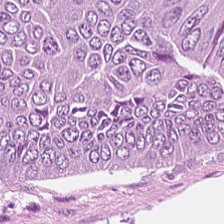Hematoxylin-and-eosin stained section. Finding → colorectal adenocarcinoma.
